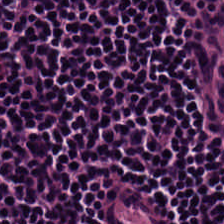20× equivalent magnification · H&E-stained tissue section.
Tissue class — lymphocytic infiltrate.
